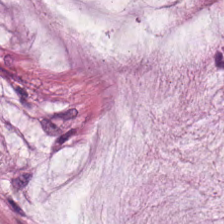H&E stain; 224×224 px patch; FFPE — Showing extracellular mucin.
